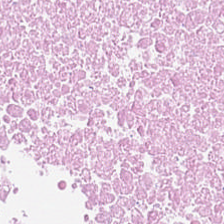H&E-stained tissue section — Predominant tissue = debris.
